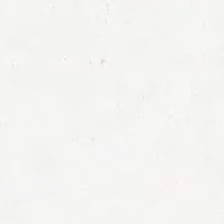H&E stain — Q: What does this patch show?
A: Empty background.
